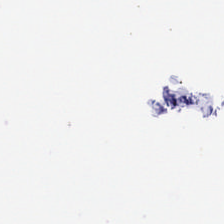Whole-slide-image patch · H&E-stained tissue section.
Background — no tissue in this field.
